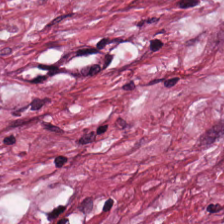Stain: H&E.
Tile size: 224×224 px tile.
Tissue: tumor stroma.
